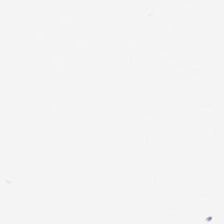H&E.
This patch shows background (no tissue).
